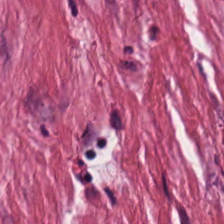H&E patch showing tumor stroma.
